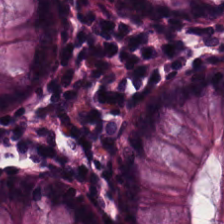20× equivalent magnification · H&E stain. Finding — normal colonic mucosa.
